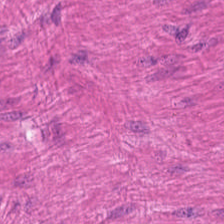Stain: H&E stain.
Acquisition: brightfield.
Tissue type: muscularis.
